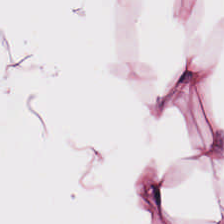H&E — fat tissue.
